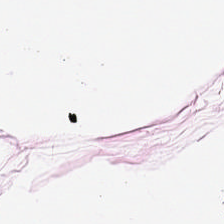Hematoxylin and eosin.
This patch shows adipose tissue.
